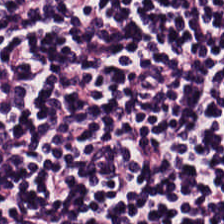Stain: H&E stain.
Tissue type: lymphocytes.
